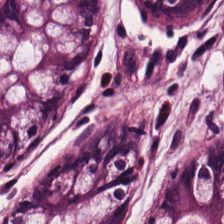H&E-stained tissue section — Finding — normal colonic mucosa.
